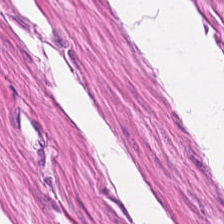Hematoxylin-and-eosin stained section.
Tissue type = smooth muscle.
